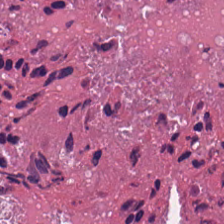Predominant tissue = necrotic debris.
